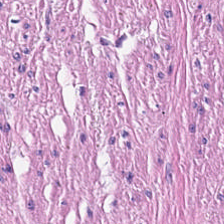Stain: H&E.
Classification: smooth-muscle tissue.
